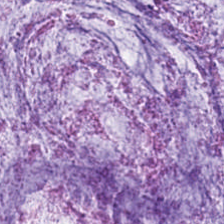Impression → extracellular mucin.
